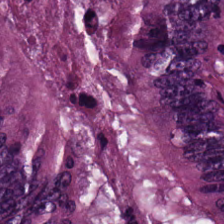Hematoxylin-and-eosin stained section — Tissue: colorectal adenocarcinoma.
